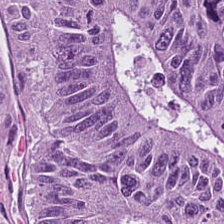Whole-slide-image patch. H&E-stained tissue section. FFPE. The predominant tissue is colorectal adenocarcinoma epithelium.
